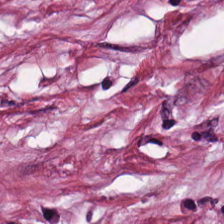Hematoxylin-and-eosin stained section — The tissue here is tumor-associated stroma.
